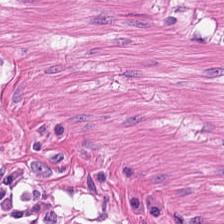H&E-stained tissue section — Q: What is the predominant tissue type?
A: It is smooth muscle.
